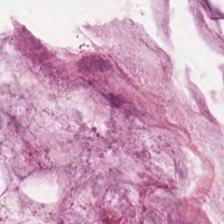Hematoxylin-and-eosin stained section; 224×224 px tile; 0.5 µm per pixel.
This patch shows mucin.
